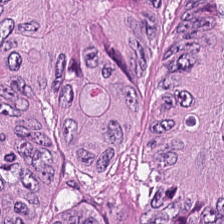Tissue type: malignant epithelium.
